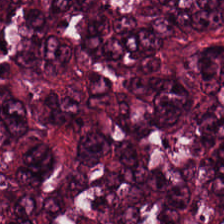Stain: H&E.
Tissue type: colorectal adenocarcinoma.
